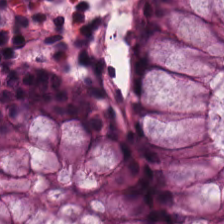Hematoxylin and eosin. FFPE.
Histology — benign colonic mucosa.
